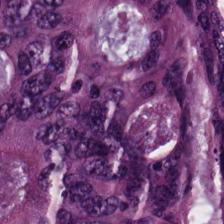Q: What tissue type is shown here?
A: The field shows tumor epithelium.
